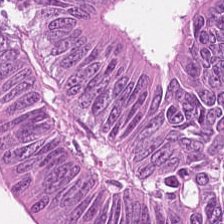Brightfield microscopy. H&E stain — Q: What is the predominant tissue type?
A: Tumor epithelium.
